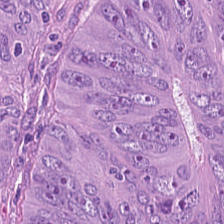H&E; 0.5 µm/px — Adenocarcinoma.
